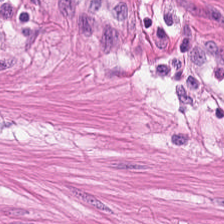Hematoxylin and eosin.
This field is smooth-muscle tissue.
